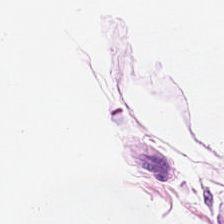H&E-stained tissue section — The predominant tissue is adipocytes.
